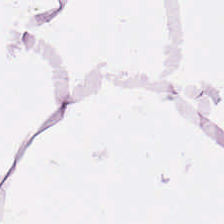Brightfield microscopy · 20× equivalent magnification · H&E stain.
Impression — adipose tissue.
